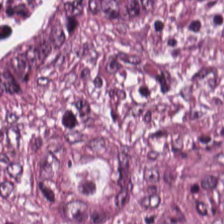Stain: H&E-stained tissue section.
Predominant tissue: tumor epithelium.
